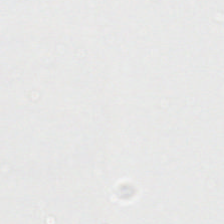H&E stain.
Background.
